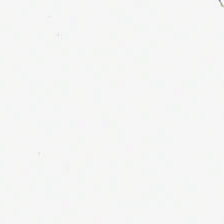H&E-stained tissue section; formalin-fixed paraffin-embedded section. Q: What does this patch show?
A: It is no tissue.
